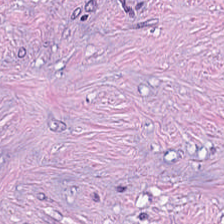224×224 px tile; H&E stain. Tissue class = necrotic debris.
